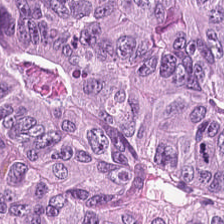{"tissue_type": "malignant epithelium"}
